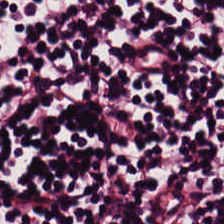Q: What type of tissue is this?
A: It is lymphocytes.
